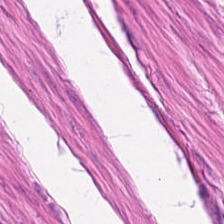Histology → smooth muscle.
